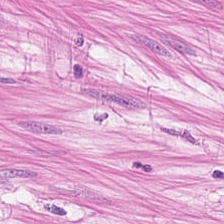Hematoxylin and eosin — Q: What is shown in this field?
A: The field shows smooth-muscle tissue.
